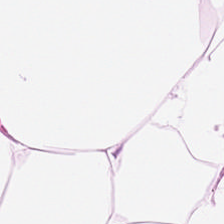H&E stain. Predominant tissue = adipocytes.
